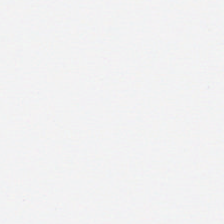The field content is no tissue.
